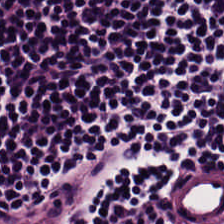Brightfield · H&E stain. Q: What tissue is shown?
A: It is lymphoid infiltrate.
